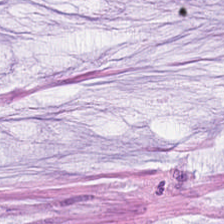Finding → mucin.
